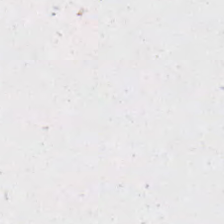Histology → background (no tissue).
